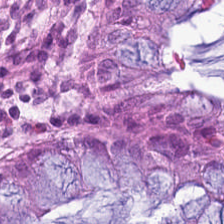H&E-stained tissue section.
Q: What type of tissue is this?
A: This is normal colonic mucosa.
